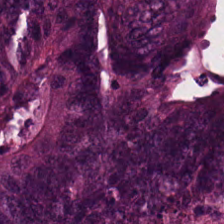Stain: hematoxylin-and-eosin stained section.
Predominant tissue: malignant epithelium.
